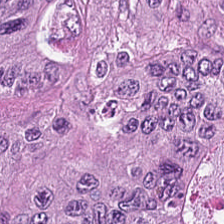Tissue type = colorectal adenocarcinoma.
